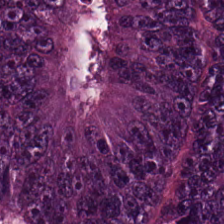H&E-stained tissue section; 224×224 px patch; 20× equivalent magnification. Tissue class = colorectal adenocarcinoma epithelium.
